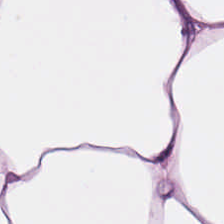Whole-slide-image patch · H&E-stained tissue section · 224×224 px tile — Adipose tissue.
